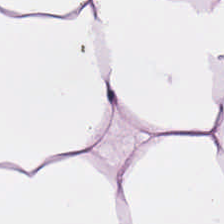Stain: hematoxylin-and-eosin stained section.
Tissue class: adipocytes.
